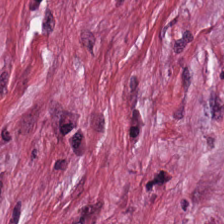Brightfield. Hematoxylin and eosin. 20× equivalent magnification.
Showing tumor-associated stroma.
